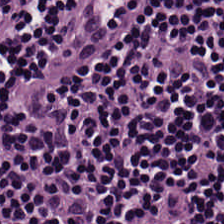0.5 µm/px. H&E-stained tissue section.
Q: What is shown here?
A: Lymphoid infiltrate.
